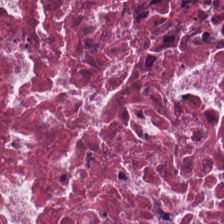Formalin-fixed paraffin-embedded section. Hematoxylin-and-eosin stained section. 0.5 µm/px.
Q: What tissue type is shown here?
A: This is debris.
